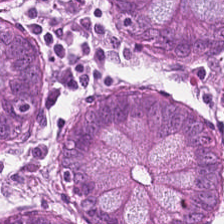H&E · 224×224 px patch.
Q: What is shown here?
A: The field shows non-neoplastic colon mucosa.
